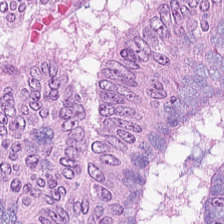Hematoxylin and eosin — This patch shows tumor epithelium.
